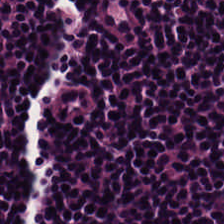Stain: H&E.
Predominant tissue: lymphocyte aggregate.
